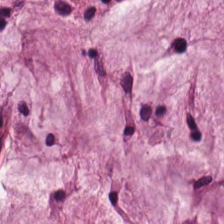Hematoxylin-and-eosin stained section · 0.5 µm/px · FFPE.
The predominant tissue is mucin.
